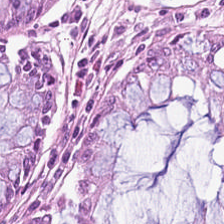Stain: hematoxylin-and-eosin stained section.
Preparation: formalin-fixed paraffin-embedded section.
Classification: normal colon mucosa.
